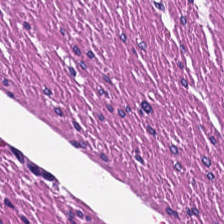H&E · 224×224 pixel tile. Tissue = smooth muscle.
